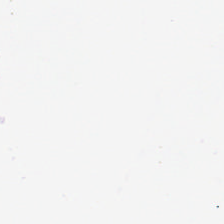H&E-stained tissue section. This patch shows no tissue.
